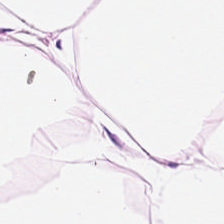FFPE. H&E-stained tissue section — Q: Classify this patch.
A: The field shows adipose tissue.
